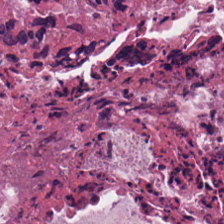Q: What is shown in this field?
A: Cellular debris.
